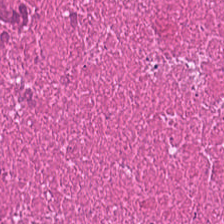Finding — cellular debris.
